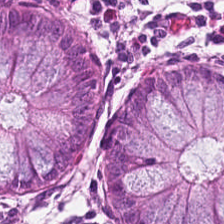Showing non-neoplastic colon mucosa.
